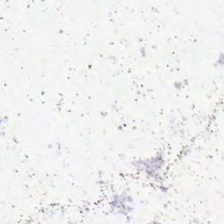H&E.
Background.
